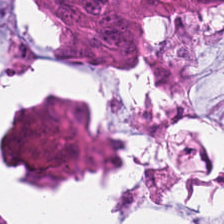Hematoxylin and eosin. Classification — malignant epithelium.
